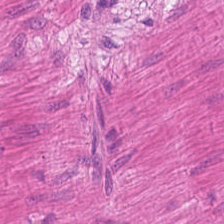WSI patch. 0.5 µm/px. H&E-stained tissue section.
This field is muscularis.
